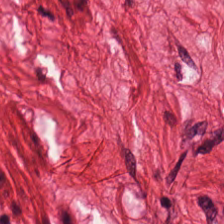0.5 microns per pixel · hematoxylin and eosin — {"tissue_type": "smooth-muscle tissue"}
